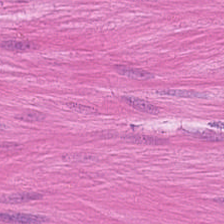H&E-stained tissue section. FFPE tissue section.
This patch shows muscularis.
